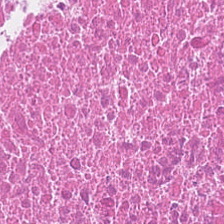H&E-stained tissue section. 224×224 pixel tile — Impression → cellular debris.
